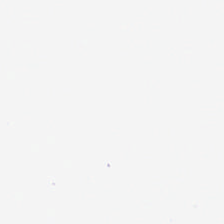Stain: H&E-stained tissue section.
Classification: no tissue.
